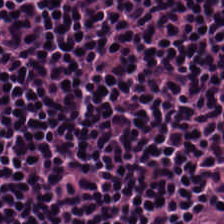224×224 pixel tile. Hematoxylin-and-eosin stained section. 20× equivalent magnification.
Predominant tissue = lymphocyte aggregate.
